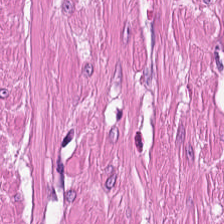Stain: hematoxylin-and-eosin stained section.
Resolution: 0.5 µm/px.
Predominant tissue: smooth-muscle tissue.
